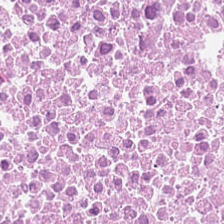H&E-stained tissue section — Predominantly debris.
